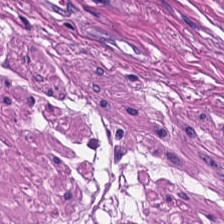Hematoxylin-and-eosin stained section.
Tissue class — muscularis.
